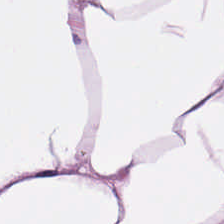H&E.
{"tissue_type": "adipose tissue"}
